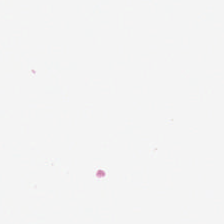Whole-slide-image patch · hematoxylin and eosin. Classification — no tissue.
